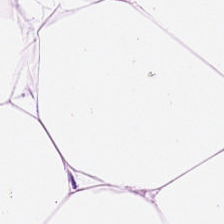H&E stain — Showing fat tissue.
